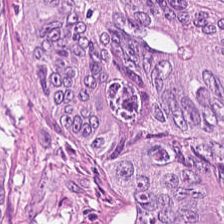Formalin-fixed paraffin-embedded section; H&E-stained tissue section.
Q: What is shown here?
A: Tumor epithelium.
